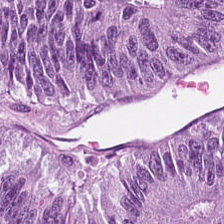Tissue type: colorectal adenocarcinoma.
